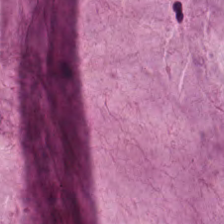Hematoxylin and eosin · 224×224 pixel tile · 0.5 µm per pixel.
Histology — mucin.
